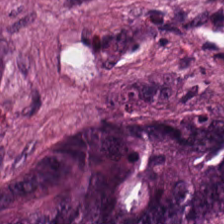FFPE tissue section. H&E. 224×224 pixel tile. Predominantly malignant epithelium.
